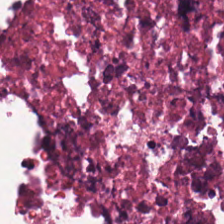H&E. Impression → debris.
